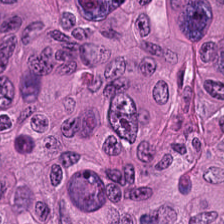224×224 px tile · hematoxylin and eosin. Tumor epithelium.
